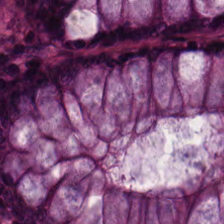Hematoxylin and eosin. This patch shows benign colonic mucosa.
